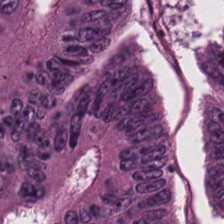Q: What is the predominant tissue type?
A: It is tumor epithelium.
